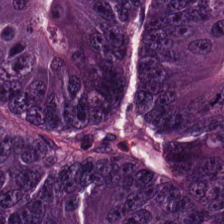Predominant tissue = colorectal adenocarcinoma epithelium.
